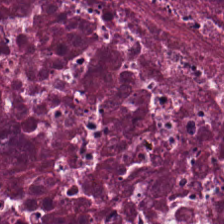H&E stain.
Debris.
